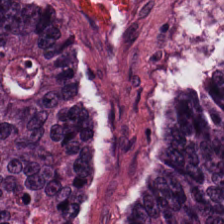0.5 µm/px; hematoxylin-and-eosin stained section. Impression — malignant epithelium.
